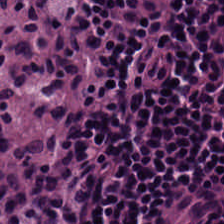Q: Identify the tissue.
A: Lymphocytes.
